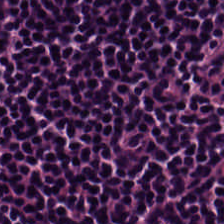H&E-stained tissue section. 0.5 µm per pixel.
Lymphocyte aggregate.
